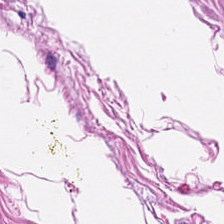Q: Classify this patch.
A: It is smooth-muscle tissue.
